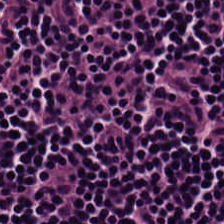H&E-stained tissue section.
This field is lymphoid infiltrate.
